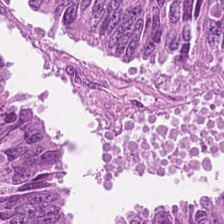Hematoxylin-and-eosin stained section — Finding — colorectal adenocarcinoma.
